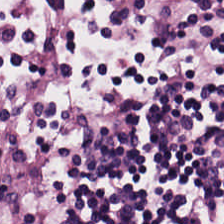20× equivalent magnification; H&E stain — This field is lymphocytic infiltrate.
